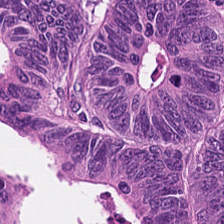0.5 µm per pixel. Hematoxylin-and-eosin stained section. Showing colorectal adenocarcinoma.
